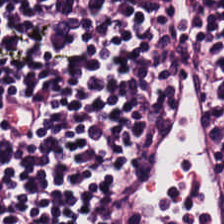H&E — This patch shows lymphocytic infiltrate.
